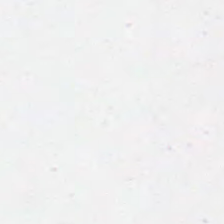Stain: hematoxylin-and-eosin stained section.
Acquisition: brightfield microscopy.
Field content: empty background.
